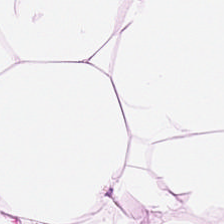H&E-stained tissue section. Tissue type: adipose tissue.
